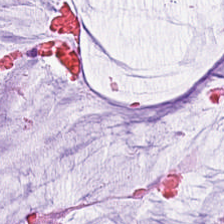The tissue class is mucus.
